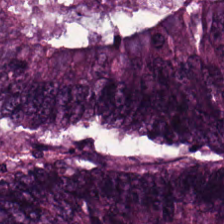Hematoxylin-and-eosin stained section — Q: What tissue is shown?
A: This is malignant epithelium.
